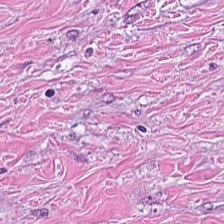Stain: hematoxylin-and-eosin stained section.
Tile size: 224×224 pixel tile.
Tissue class: desmoplastic stroma.
